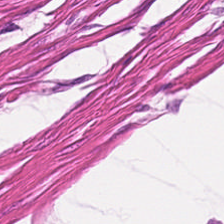Hematoxylin and eosin. Brightfield.
This patch shows smooth muscle.
